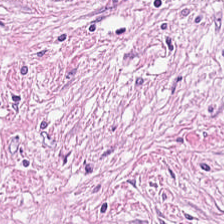Hematoxylin-and-eosin stained section; brightfield microscopy.
Predominant tissue: cancer-associated stroma.
